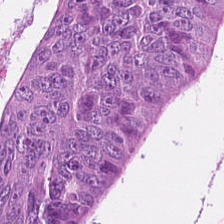H&E — Histology — adenocarcinoma.
